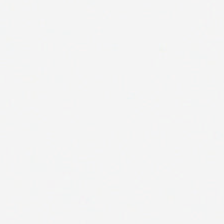Hematoxylin-and-eosin stained section. Empty field — empty background.
